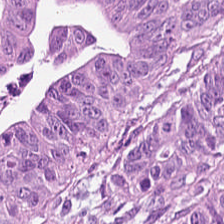H&E-stained tissue section; 224×224 px patch.
Tissue type: malignant epithelium.
